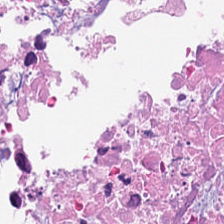Stain: H&E-stained tissue section.
Acquisition: whole-slide-image patch.
Classification: necrotic debris.
